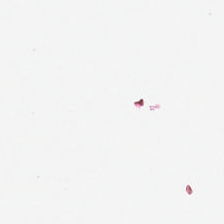224×224 pixel tile; WSI patch; H&E.
No tissue present; background only.
